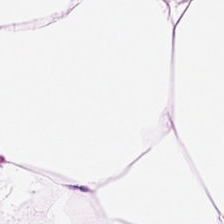Hematoxylin and eosin. 0.5 µm per pixel. 224×224 pixel tile — Predominant tissue: adipose tissue.
